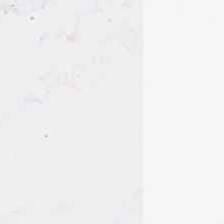20× equivalent magnification · hematoxylin-and-eosin stained section. This patch shows empty background.
